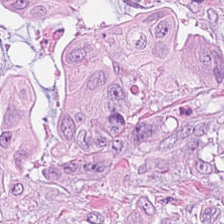0.5 µm per pixel; 224×224 pixel tile; H&E.
Q: What tissue type is shown here?
A: This is tumor epithelium.
